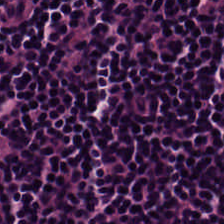Whole-slide-image patch. H&E stain. 224×224 pixel tile. Tissue class: lymphocyte aggregate.
